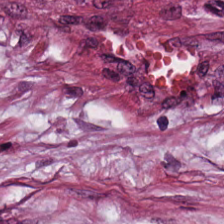H&E. Finding → tumor stroma.
